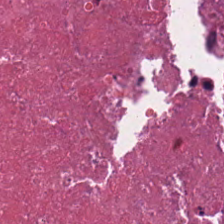Hematoxylin and eosin. Tissue class — debris.
